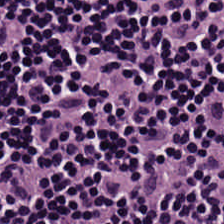Stain: hematoxylin-and-eosin stained section.
Resolution: 20× equivalent magnification.
Predominant tissue: lymphocytic infiltrate.
